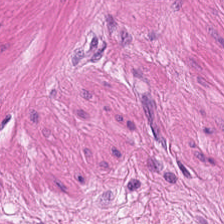H&E patch showing smooth muscle.
